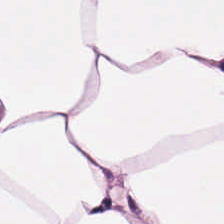Hematoxylin and eosin — Adipose.
